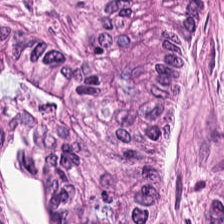The predominant tissue is colorectal adenocarcinoma.
